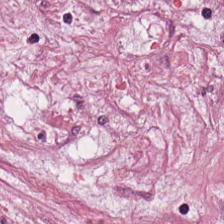Classification: tumor-associated stroma.
